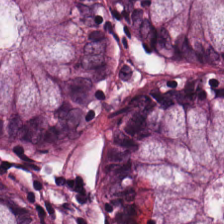H&E.
Q: Classify this patch.
A: The field shows normal colon mucosa.
